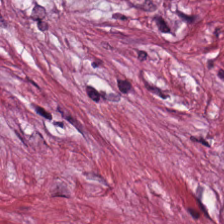H&E stain · 224×224 px tile. This field is cancer-associated stroma.
